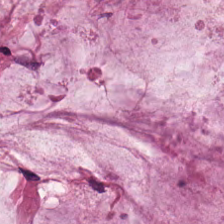H&E stain — This field is mucus.
